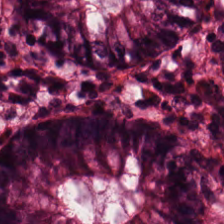Formalin-fixed paraffin-embedded section. H&E. 20× equivalent magnification.
This field is non-neoplastic colon mucosa.
